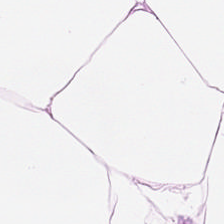H&E-stained tissue section · 0.5 microns per pixel · brightfield — Adipose tissue.
